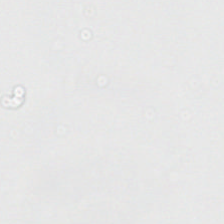Hematoxylin and eosin. Q: What does this patch show?
A: It is background.
